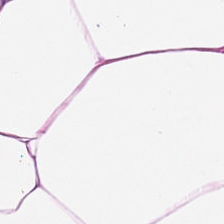Stain: H&E stain.
Tile size: 224×224 px patch.
Acquisition: whole-slide-image patch.
Tissue: fat tissue.
